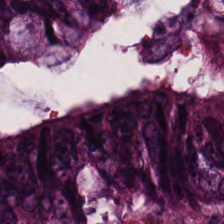H&E-stained tissue section. Tissue class = tumor epithelium.
